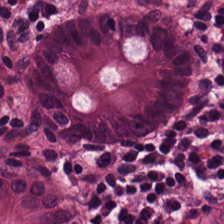H&E-stained tissue section · brightfield — Impression — normal colonic mucosa.
